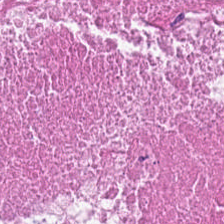0.5 microns per pixel; H&E-stained tissue section; brightfield microscopy — The tissue class is debris.
